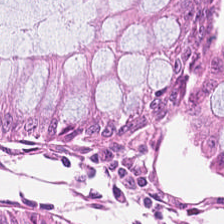Stain: H&E-stained tissue section.
Classification: normal colonic mucosa.
